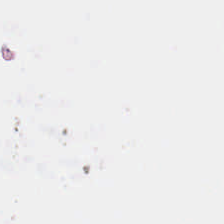Classification = background (no tissue).
